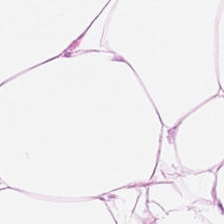Hematoxylin and eosin. Histology — adipocytes.
